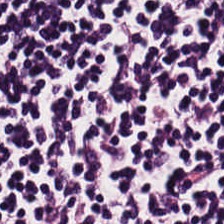FFPE tissue section; H&E — Showing lymphocytic infiltrate.
